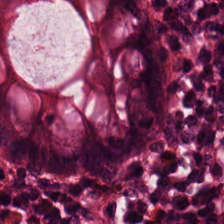Q: What does this patch show?
A: Normal colonic mucosa.
